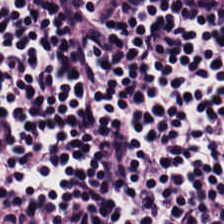H&E-stained tissue section.
Finding → lymphoid infiltrate.
